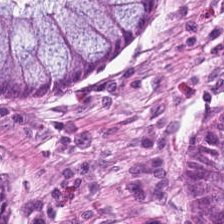FFPE · hematoxylin-and-eosin stained section · 0.5 µm per pixel. Normal colonic mucosa.
